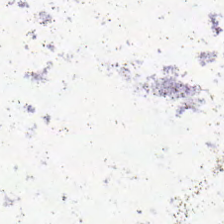H&E-stained tissue section; 20× equivalent magnification — Classification — empty background.
